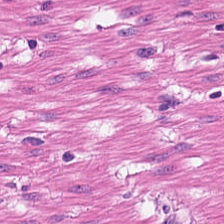0.5 µm per pixel. FFPE. H&E. Finding → muscularis.
